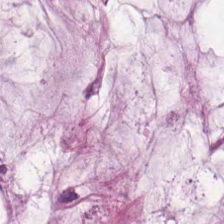Hematoxylin and eosin.
Classification = extracellular mucin.
